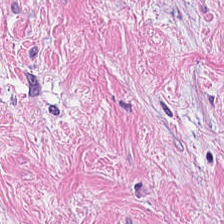Hematoxylin-and-eosin stained section.
Cancer-associated stroma.
